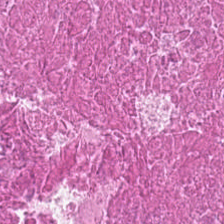Hematoxylin and eosin — Q: What is shown in this field?
A: It is necrotic debris.
